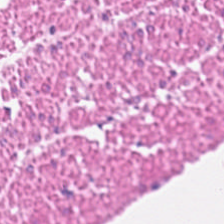H&E patch showing muscularis.
